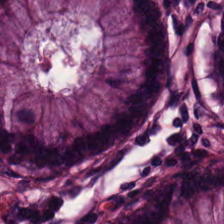H&E-stained tissue section showing normal colon mucosa.
